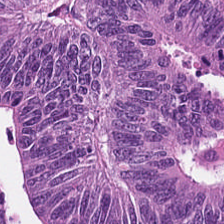H&E-stained tissue section · brightfield microscopy — This patch shows adenocarcinoma.
